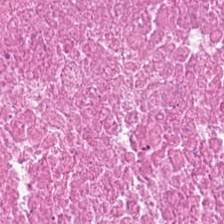Hematoxylin-and-eosin stained section. Impression — necrotic debris.
